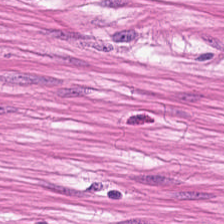H&E.
Predominant tissue: smooth-muscle tissue.
